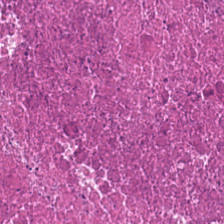H&E — necrotic debris.
